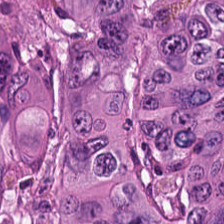Hematoxylin-and-eosin stained section; FFPE — This patch shows colorectal adenocarcinoma epithelium.
